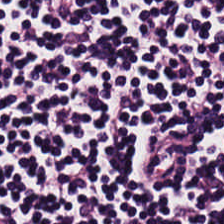WSI patch; formalin-fixed paraffin-embedded section; H&E-stained tissue section.
Predominantly lymphocytes.
